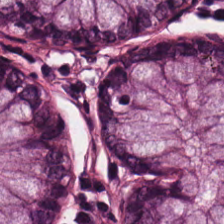H&E stain — Finding — normal colonic mucosa.
